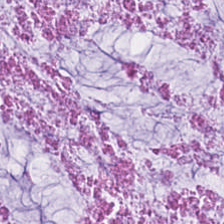Hematoxylin and eosin. WSI patch. Q: What is the predominant tissue type?
A: The field shows mucin.
